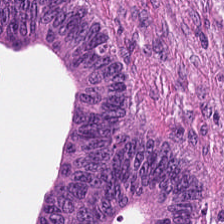H&E-stained tissue section showing adenocarcinoma.
